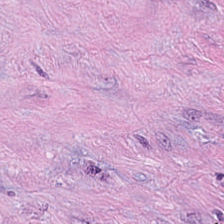224×224 px tile; hematoxylin and eosin.
Showing tumor-associated stroma.
